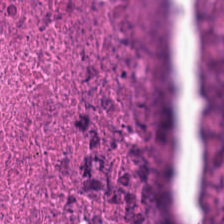Brightfield. H&E-stained tissue section. Predominantly debris.
